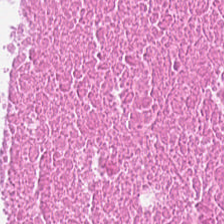H&E-stained tissue section.
Necrotic debris.
